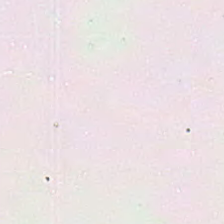The field content is background.
